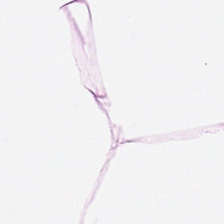H&E-stained tissue section — {"tissue_type": "adipose"}
